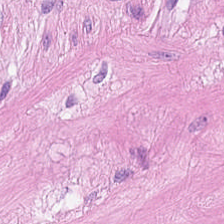Hematoxylin-and-eosin section: muscularis.
